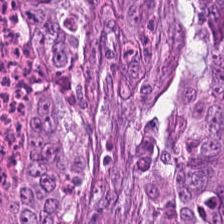H&E · 0.5 microns per pixel. Showing colorectal adenocarcinoma.
